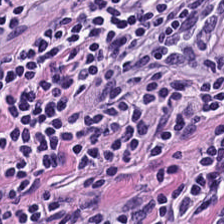H&E-stained tissue section showing lymphocytes.
